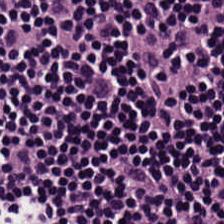Tissue — lymphocytic infiltrate.
